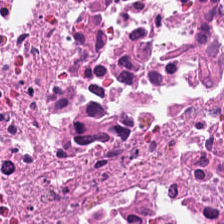Formalin-fixed paraffin-embedded section. H&E-stained tissue section. 224×224 px tile. Histology — cellular debris.
